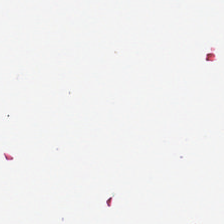Stain: H&E-stained tissue section.
Content: background (no tissue).
